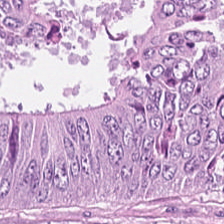H&E-stained tissue section.
Predominantly colorectal adenocarcinoma epithelium.
